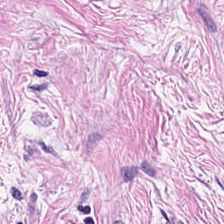Hematoxylin-and-eosin stained section.
Q: What is the predominant tissue type?
A: Desmoplastic stroma.
